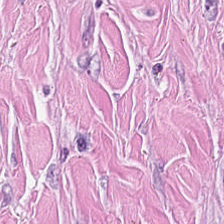H&E-stained tissue section — Impression — cancer-associated stroma.
